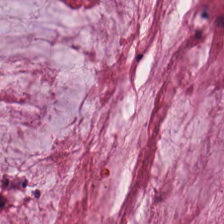H&E-stained tissue section — Impression — mucin.
